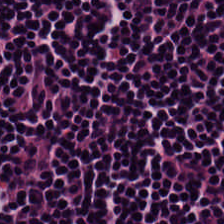H&E stain — Tissue type — lymphocytes.
